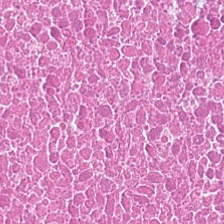Q: Classify this patch.
A: It is necrotic debris.
